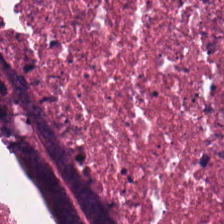H&E stain. Q: What type of tissue is this?
A: Necrotic debris.
